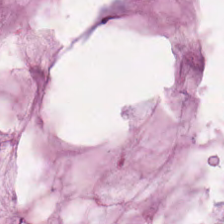Brightfield. H&E stain. FFPE tissue section.
Histology → extracellular mucin.
